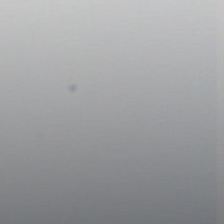Impression — background.
